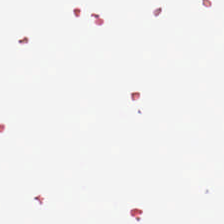Hematoxylin-and-eosin stained section · FFPE tissue section. {"content": "empty background"}
